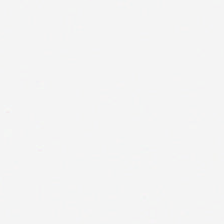H&E · 0.5 µm/px.
This patch shows background (no tissue).
